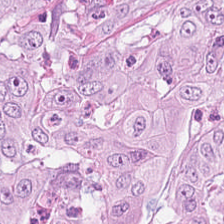Stain: hematoxylin and eosin.
Tissue: adenocarcinoma.
